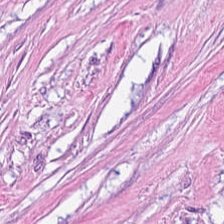Predominant tissue = cancer-associated stroma.
